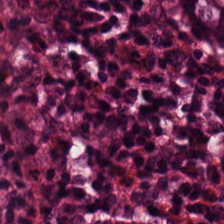H&E-stained tissue section. FFPE tissue section. Finding — normal colon mucosa.
